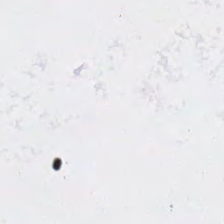Impression — empty background.
